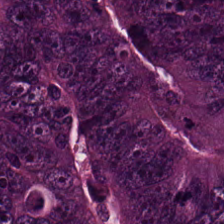{"tissue_type": "adenocarcinoma"}
